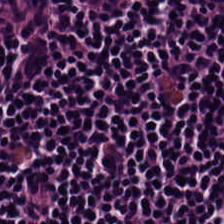Lymphocytes.
